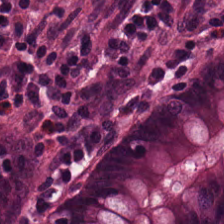Hematoxylin and eosin — Q: What tissue type is shown here?
A: It is normal colonic mucosa.
